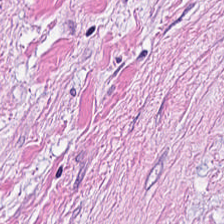Hematoxylin and eosin. Predominantly cancer-associated stroma.
